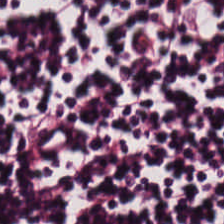H&E-stained tissue section.
This field is lymphoid infiltrate.
